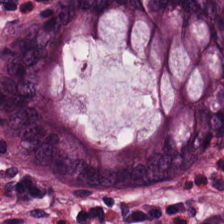H&E.
Q: What is the predominant tissue type?
A: Normal colon mucosa.
